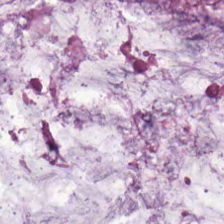Q: What is the predominant tissue type?
A: This is mucus.
